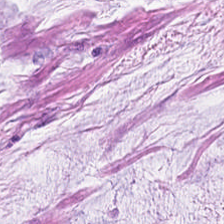224×224 px patch; H&E.
The tissue here is mucin.
